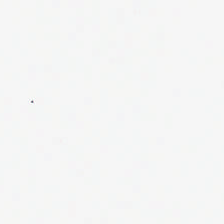Brightfield microscopy; H&E. Q: What is shown here?
A: No tissue.
